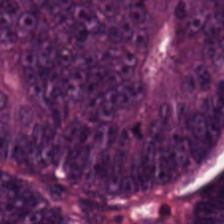H&E stain. Q: What is shown in this field?
A: Colorectal adenocarcinoma epithelium.
